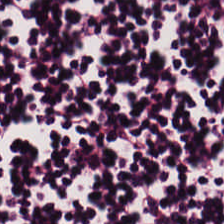Showing lymphocyte aggregate.
